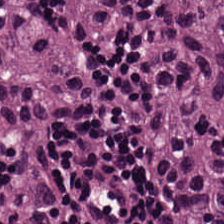H&E stain.
Predominantly tumor epithelium.
